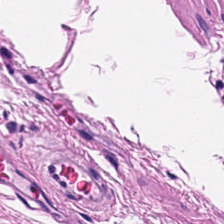H&E stain. Smooth muscle.
